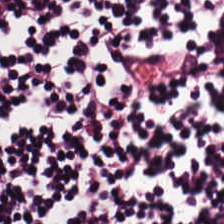H&E-stained tissue section. Brightfield microscopy.
Showing lymphocyte aggregate.
